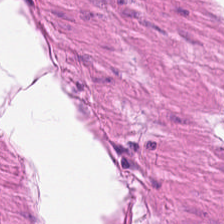H&E-stained tissue section. Whole-slide-image patch. FFPE tissue section.
Predominantly muscularis.
